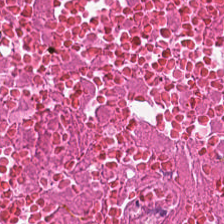Q: What tissue is shown?
A: This is cellular debris.
